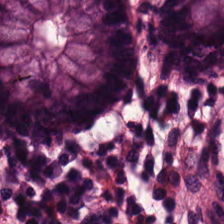H&E-stained tissue section · FFPE tissue section · 0.5 µm per pixel — Predominant tissue: normal colonic mucosa.
